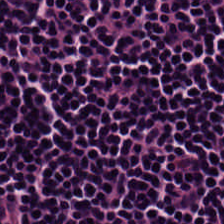Showing lymphocytes.
